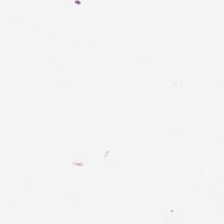224×224 pixel tile · H&E-stained tissue section.
{"content": "background (no tissue)"}
